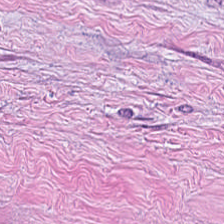Formalin-fixed paraffin-embedded section · 224×224 px patch · hematoxylin and eosin.
Histology — tumor stroma.
